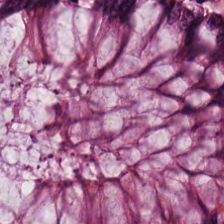Finding → normal colon mucosa.
